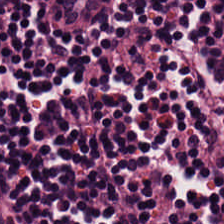Hematoxylin-and-eosin stained section.
Showing lymphocytes.
